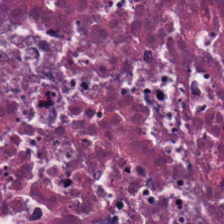Hematoxylin and eosin.
{"tissue_type": "cellular debris"}
